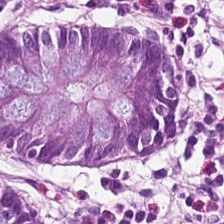H&E. Q: What is shown in this field?
A: This is normal colon mucosa.
